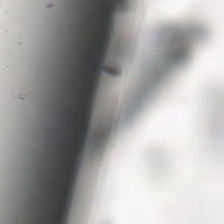H&E stain. WSI patch. 224×224 px patch.
Field content — background (no tissue).
